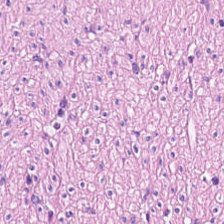H&E stain · 0.5 microns per pixel · FFPE.
Predominantly smooth-muscle tissue.
